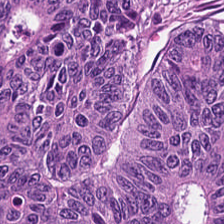H&E-stained tissue section showing adenocarcinoma.
